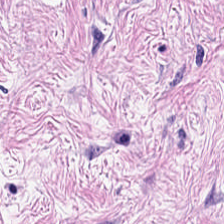Tumor-associated stroma.
